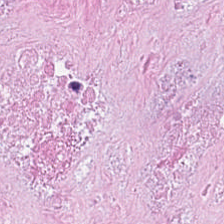Stain: H&E-stained tissue section.
Tissue type: debris.
